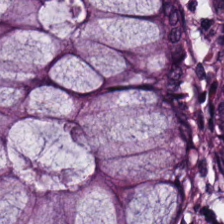Stain: hematoxylin-and-eosin stained section.
Classification: normal colonic mucosa.
